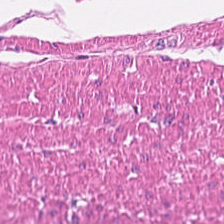Hematoxylin and eosin. This field is muscularis.
